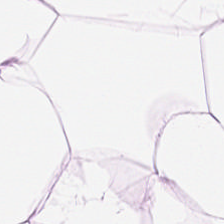H&E. Tissue class: fat tissue.
